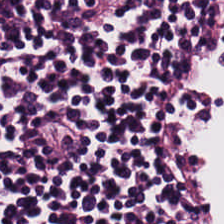Tissue type — lymphoid infiltrate.
